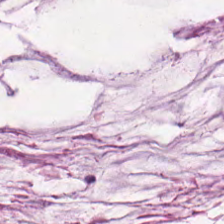Stain: H&E stain.
Tissue type: mucin.
